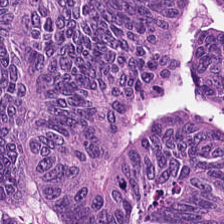Stain: hematoxylin and eosin.
Predominant tissue: tumor epithelium.
